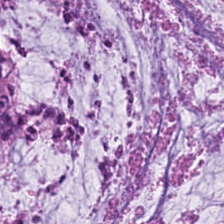Stain: hematoxylin and eosin.
Preparation: formalin-fixed paraffin-embedded section.
Tissue class: mucus.
